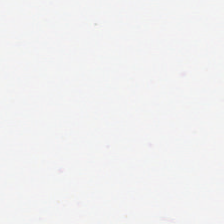H&E. 0.5 µm per pixel. Brightfield microscopy — Q: What is shown here?
A: The field shows background (no tissue).
